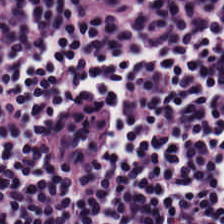FFPE tissue section; H&E-stained tissue section; brightfield microscopy.
The predominant tissue is lymphocytic infiltrate.
